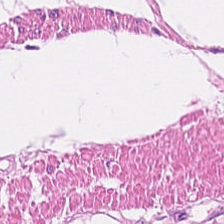Hematoxylin and eosin · 224×224 px patch. Q: What is shown in this field?
A: The field shows muscularis.
